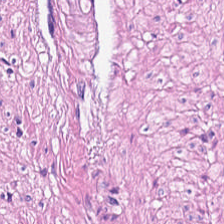Stain: hematoxylin-and-eosin stained section.
Tile size: 224×224 px patch.
Tissue: smooth muscle.
